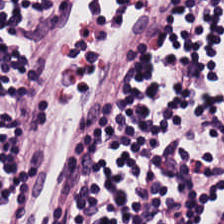224×224 pixel tile · H&E stain — This patch shows lymphocytic infiltrate.
